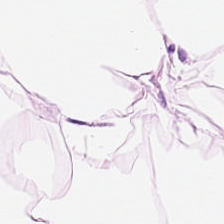Hematoxylin-and-eosin stained section. 20× equivalent magnification — This patch shows fat tissue.
